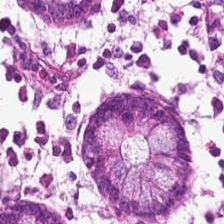Stain: hematoxylin and eosin.
Tile size: 224×224 pixel tile.
Preparation: FFPE tissue section.
Predominant tissue: benign colonic mucosa.
